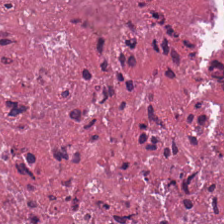H&E patch showing necrotic debris.
